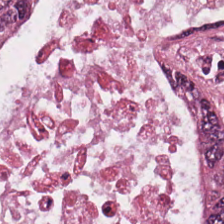0.5 µm per pixel · H&E-stained tissue section · WSI patch.
Histology → colorectal adenocarcinoma.
